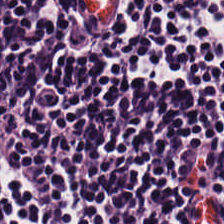FFPE tissue section. 0.5 microns per pixel. H&E-stained tissue section — Lymphocytic infiltrate.
